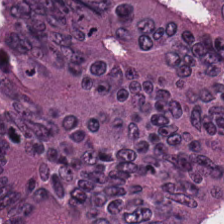WSI patch. 224×224 pixel tile. H&E-stained tissue section — Q: What tissue is shown?
A: This is adenocarcinoma.
